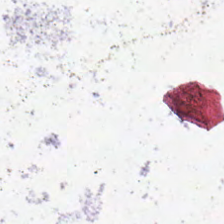Stain: H&E stain.
Field content: background.
